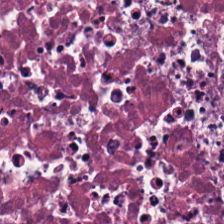Stain: H&E stain.
Classification: debris.
